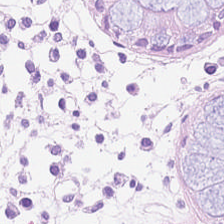224×224 px tile; hematoxylin and eosin; 0.5 µm per pixel — Predominantly normal colon mucosa.
